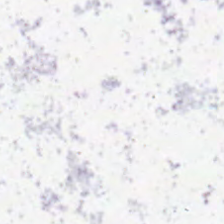0.5 µm per pixel; hematoxylin and eosin — The classification is no tissue.
